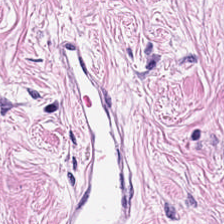Stain: H&E.
Predominant tissue: desmoplastic stroma.
